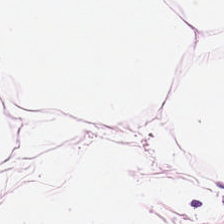Hematoxylin-and-eosin stained section · brightfield microscopy. Tissue class = adipose tissue.
